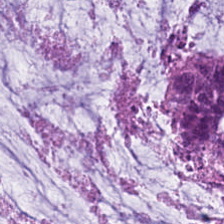H&E stain. 0.5 µm/px. 224×224 px patch — Predominant tissue: extracellular mucin.
